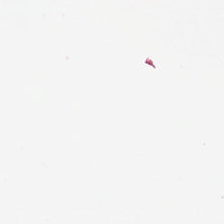H&E stain. Histology — background (no tissue).
